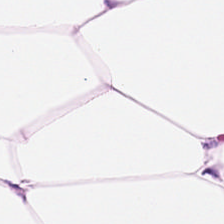Hematoxylin-and-eosin stained section · 20× equivalent magnification.
{"tissue_type": "adipocytes"}
